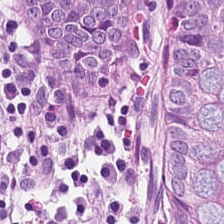Brightfield microscopy · hematoxylin-and-eosin stained section — The tissue is normal colon mucosa.
